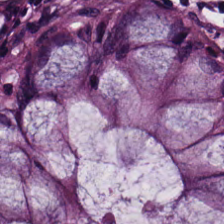H&E. 0.5 µm per pixel.
Histology — normal colonic mucosa.
